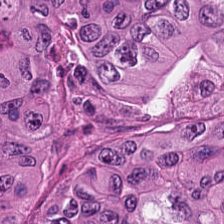WSI patch. H&E stain.
Predominant tissue — adenocarcinoma.
